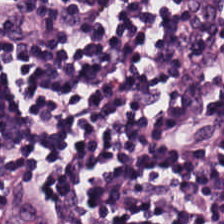Hematoxylin and eosin.
This patch shows lymphocyte aggregate.
